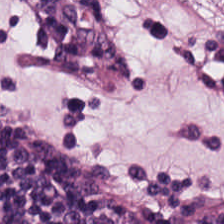Hematoxylin-and-eosin stained section.
Q: Identify the tissue.
A: It is lymphocytes.
